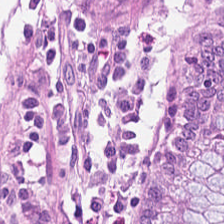Stain: hematoxylin-and-eosin stained section.
Tissue: non-neoplastic colon mucosa.
